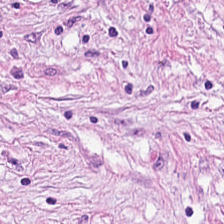Impression — tumor-associated stroma.
